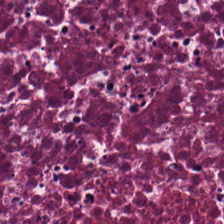0.5 µm per pixel · H&E-stained tissue section — Histology — necrotic debris.
